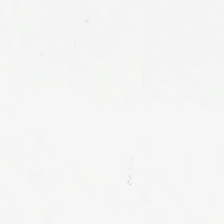Hematoxylin and eosin · 224×224 px patch — Background.
